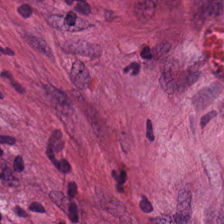H&E-stained tissue section.
Q: What type of tissue is this?
A: Desmoplastic stroma.
